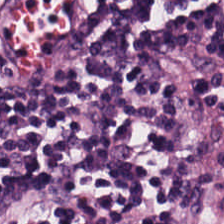H&E — The classification is lymphoid infiltrate.
